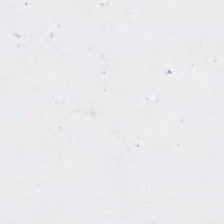Formalin-fixed paraffin-embedded section. Hematoxylin and eosin. 0.5 microns per pixel. Classification — no tissue.
